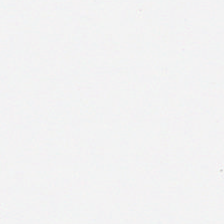Stain: H&E.
Field content: no tissue.
